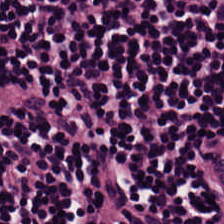H&E-stained tissue section. Finding — lymphocyte aggregate.
